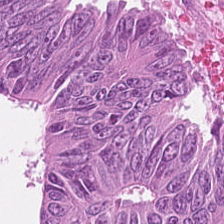Brightfield; 224×224 px patch; hematoxylin-and-eosin stained section — The tissue class is colorectal adenocarcinoma epithelium.
